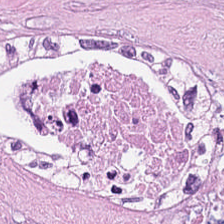Stain: hematoxylin and eosin.
Predominant tissue: cellular debris.
